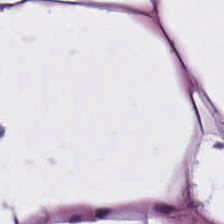Stain: H&E.
Acquisition: brightfield microscopy.
Preparation: FFPE.
Tissue class: adipocytes.
